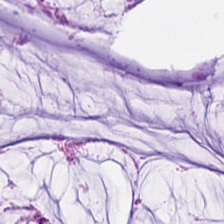224×224 px patch; whole-slide-image patch; H&E-stained tissue section.
Tissue class: extracellular mucin.
